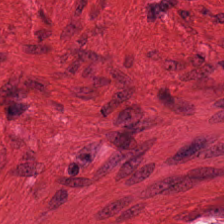Tissue type = smooth muscle.
